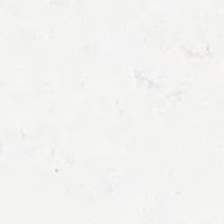224×224 px patch; formalin-fixed paraffin-embedded section; H&E stain.
No tissue present; background only.
